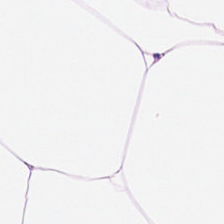H&E. Formalin-fixed paraffin-embedded section — Tissue class: fat tissue.
